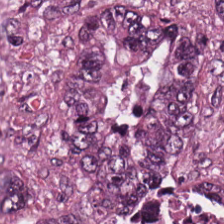FFPE. 224×224 px tile. H&E-stained tissue section — Histology — adenocarcinoma.
